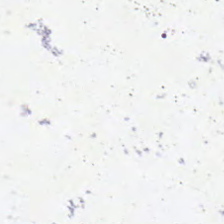Hematoxylin-and-eosin stained section. Histology — no tissue.
